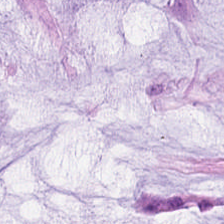H&E stain. Mucus.
